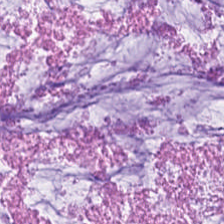0.5 µm/px · H&E stain — Classification = mucin.
